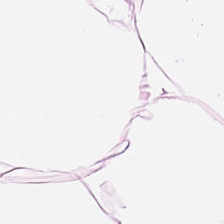Hematoxylin-and-eosin stained section · WSI patch · FFPE. Tissue class: fat tissue.
